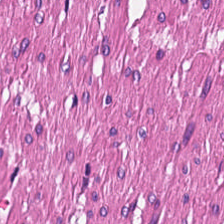Hematoxylin-and-eosin stained section. Q: Identify the tissue.
A: It is muscularis.
